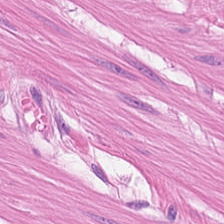Hematoxylin and eosin — This field is muscularis.
